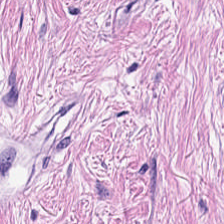H&E-stained tissue section. Formalin-fixed paraffin-embedded section — Q: What is shown here?
A: This is desmoplastic stroma.
